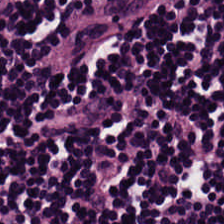Stain: hematoxylin and eosin.
Acquisition: brightfield microscopy.
Tissue type: lymphoid infiltrate.
